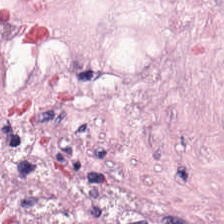H&E — tumor-associated stroma.
